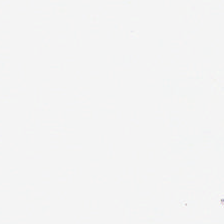0.5 microns per pixel. Formalin-fixed paraffin-embedded section. H&E stain. Content — no tissue.
